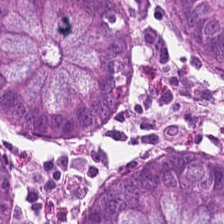Hematoxylin-and-eosin stained section; 20× equivalent magnification — Tissue type: normal colon mucosa.
